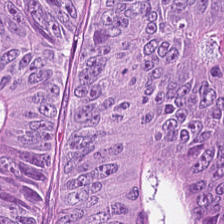H&E · 20× equivalent magnification.
Tissue: tumor epithelium.
